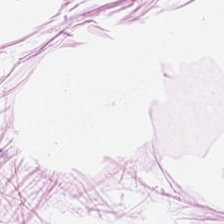Q: What type of tissue is this?
A: Adipose tissue.
